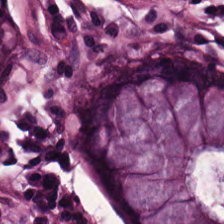Tissue class: non-neoplastic colon mucosa.
